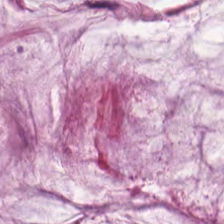H&E stain · FFPE.
Predominant tissue — mucus.
